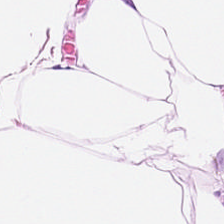H&E-stained tissue section — {"tissue_type": "adipocytes"}
